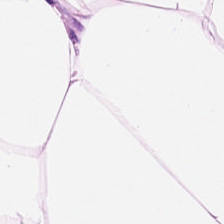0.5 microns per pixel · H&E.
Predominant tissue = adipocytes.
